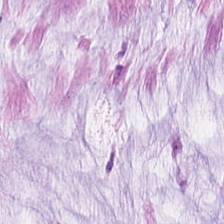H&E-stained tissue section. 224×224 px tile.
This field is extracellular mucin.
